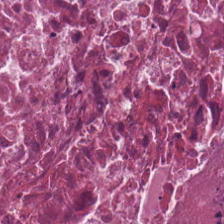Tissue = debris.
